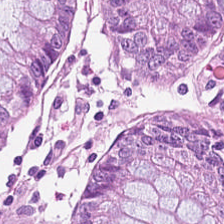H&E.
Predominantly normal colonic mucosa.
